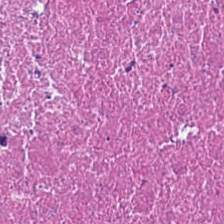Tissue type = cellular debris.
